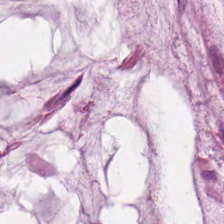Formalin-fixed paraffin-embedded section · H&E. Tissue type = mucin.
